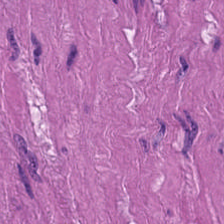H&E-stained tissue section. This patch shows smooth muscle.
